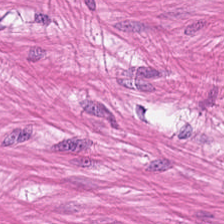Hematoxylin-and-eosin stained section. 0.5 µm per pixel.
Showing smooth-muscle tissue.
